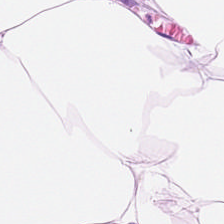H&E-stained tissue section — {"tissue_type": "adipocytes"}
